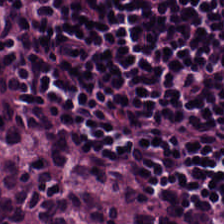The tissue type is lymphoid infiltrate.
